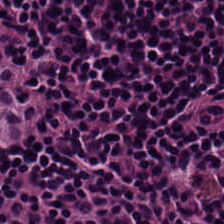H&E-stained tissue section.
The tissue here is lymphoid infiltrate.
